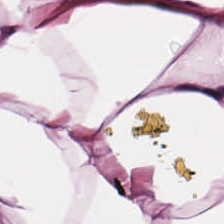H&E-stained tissue section.
This field is fat tissue.
